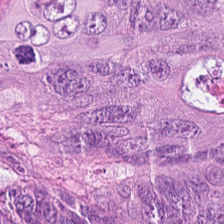H&E stain. Tissue = malignant epithelium.
